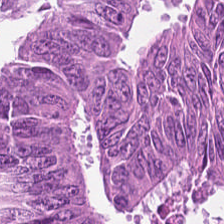The predominant tissue is tumor epithelium.
